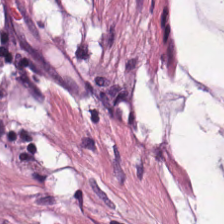H&E.
Q: What is the predominant tissue type?
A: This is mucus.
